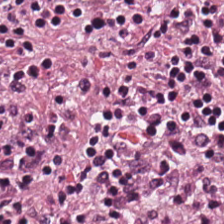WSI patch. H&E stain. Q: What tissue type is shown here?
A: It is lymphoid infiltrate.
